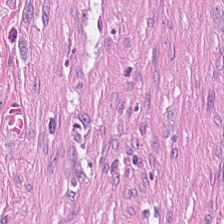FFPE. Hematoxylin and eosin.
The predominant tissue is desmoplastic stroma.
